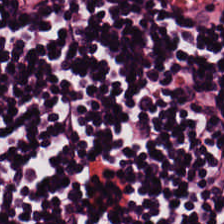0.5 µm/px. 224×224 px tile. H&E — Showing lymphocytic infiltrate.
